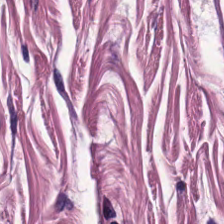Stain: hematoxylin-and-eosin stained section.
Classification: muscularis.
